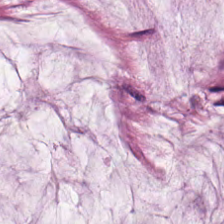H&E stain.
Tissue — mucus.
